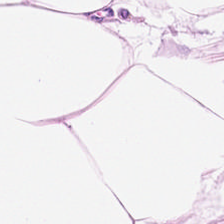H&E-stained tissue section.
The classification is adipose tissue.
